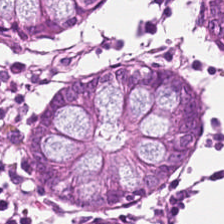Hematoxylin and eosin — Predominant tissue — non-neoplastic colon mucosa.
